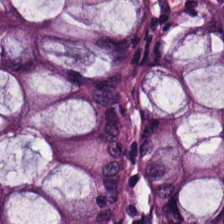Histology — non-neoplastic colon mucosa.
